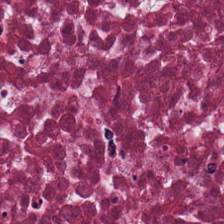Hematoxylin and eosin. {"tissue_type": "necrotic debris"}
